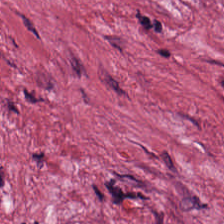Predominant tissue — tumor-associated stroma.
